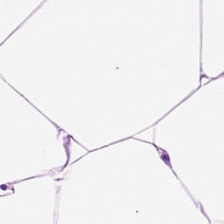H&E stain; FFPE tissue section — Showing adipose.
